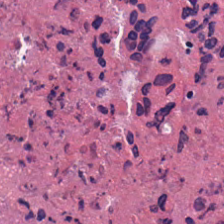Stain: H&E stain.
Classification: cellular debris.
